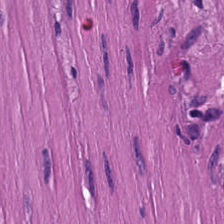Q: What is shown in this field?
A: Smooth muscle.
